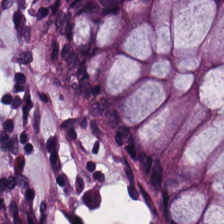Hematoxylin-and-eosin section: non-neoplastic colon mucosa.
